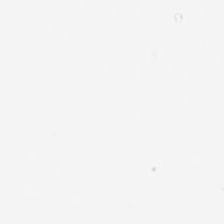H&E-stained tissue section.
Q: What is shown in this field?
A: Empty background.
